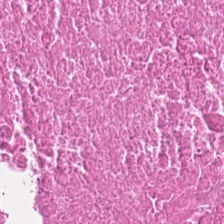Stain: H&E stain.
Predominant tissue: cellular debris.
